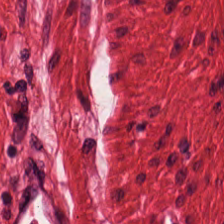H&E-stained tissue section. Histology → muscularis.
